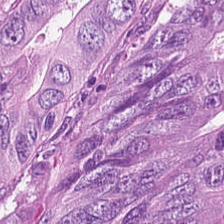H&E. This field is colorectal adenocarcinoma.
